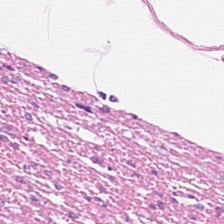0.5 µm per pixel. Formalin-fixed paraffin-embedded section. Hematoxylin-and-eosin stained section — Finding → smooth muscle.
